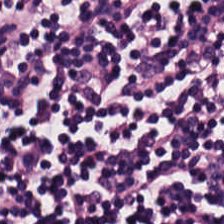Predominant tissue — lymphocytes.
